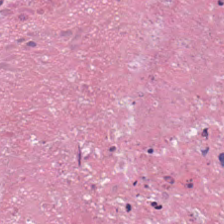Whole-slide-image patch · H&E. The tissue here is necrotic debris.
